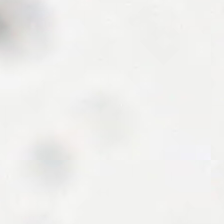Hematoxylin and eosin — {"content": "background (no tissue)"}
